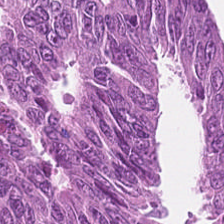Hematoxylin and eosin. Histology → adenocarcinoma.
